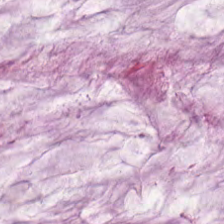Hematoxylin-and-eosin stained section. The tissue here is extracellular mucin.
